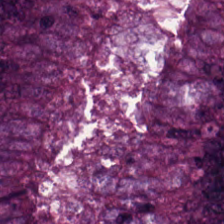20× equivalent magnification. H&E.
Predominant tissue = colorectal adenocarcinoma epithelium.
